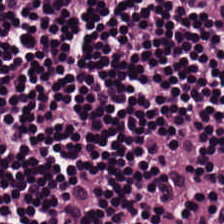H&E stain. Predominantly lymphocyte aggregate.
